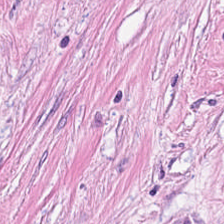Hematoxylin and eosin. Q: What does this patch show?
A: The field shows cancer-associated stroma.
